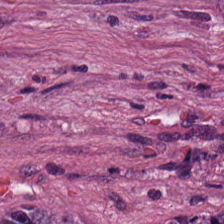H&E-stained tissue section. Q: What type of tissue is this?
A: This is tumor stroma.
